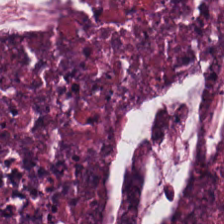{"tissue_type": "debris"}
